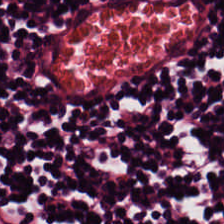H&E stain.
Tissue type: lymphocytes.
